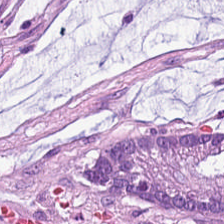H&E-stained tissue section. This field is mucus.
